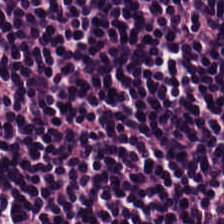Hematoxylin and eosin. The tissue here is lymphocytes.
